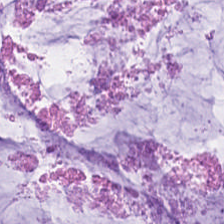Hematoxylin-and-eosin stained section. FFPE tissue section — This field is mucin.
